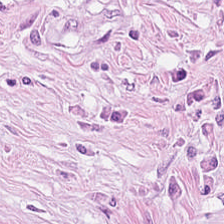Stain: H&E.
Tissue: tumor-associated stroma.
